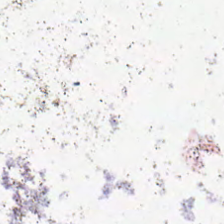The content is background.
